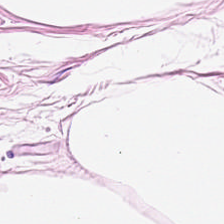Predominant tissue: adipocytes.
